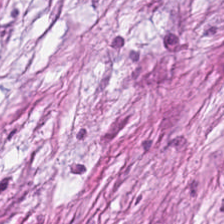H&E.
Q: What type of tissue is this?
A: It is desmoplastic stroma.
